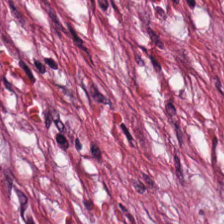H&E-stained tissue section.
This patch shows tumor-associated stroma.
